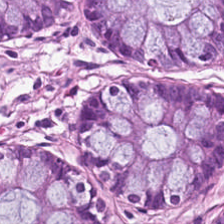H&E stain.
The predominant tissue is non-neoplastic colon mucosa.
